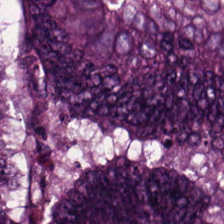Hematoxylin-and-eosin stained section. The tissue is colorectal adenocarcinoma.
